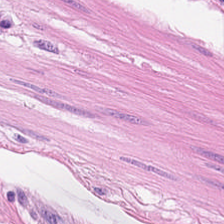Smooth muscle.
